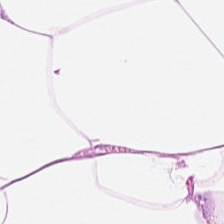Hematoxylin and eosin.
Showing adipose.
